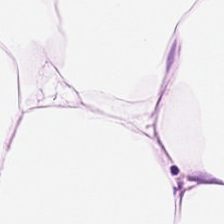Stain: H&E stain.
Tissue type: adipose.
